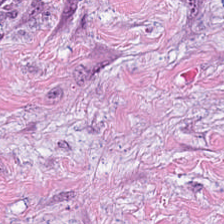Hematoxylin and eosin.
The tissue type is desmoplastic stroma.
